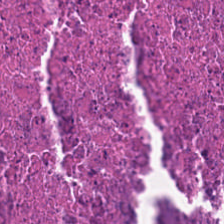H&E-stained tissue section showing cellular debris.
